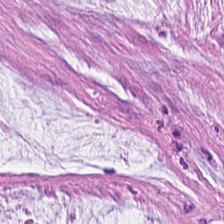H&E-stained tissue section.
Q: What tissue is shown?
A: This is mucus.
